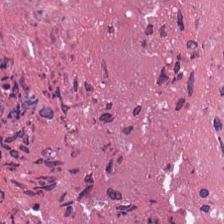224×224 px tile; hematoxylin and eosin; FFPE tissue section — {"tissue_type": "necrotic debris"}
